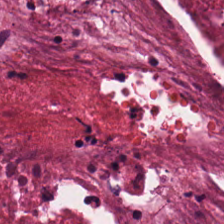Hematoxylin and eosin; 224×224 pixel tile. The predominant tissue is necrotic debris.
